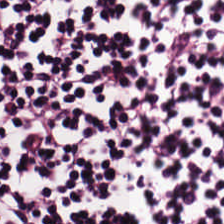Q: What tissue is shown?
A: This is lymphocytic infiltrate.
